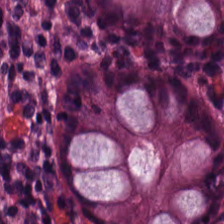Hematoxylin and eosin. 0.5 µm per pixel. Finding → normal colonic mucosa.
